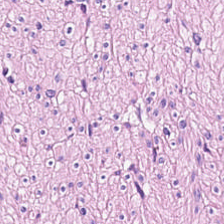Hematoxylin-and-eosin stained section. The predominant tissue is muscularis.
